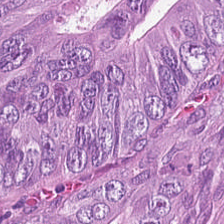H&E-stained tissue section; 224×224 px patch. Q: What type of tissue is this?
A: This is colorectal adenocarcinoma.
